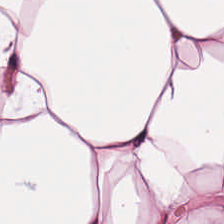224×224 px tile · 0.5 µm/px · H&E. Showing adipose tissue.
